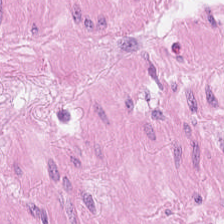FFPE tissue section; brightfield microscopy; hematoxylin and eosin — {"tissue_type": "smooth muscle"}
